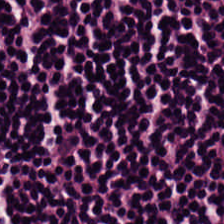FFPE. Hematoxylin and eosin. Showing lymphocytes.
